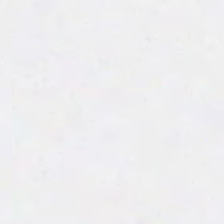224×224 px tile; hematoxylin-and-eosin stained section. Q: Classify this patch.
A: This is empty background.
